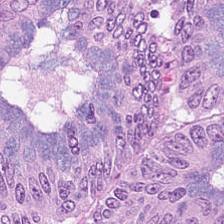0.5 microns per pixel; 224×224 px tile; H&E-stained tissue section — This field is colorectal adenocarcinoma.
